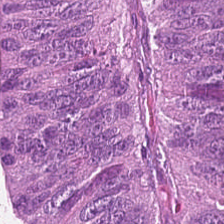H&E stain.
The predominant tissue is malignant epithelium.
